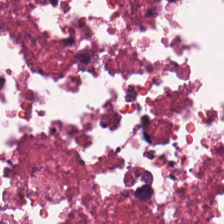H&E patch showing debris.
